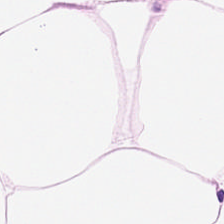Hematoxylin-and-eosin stained section. Adipose.
